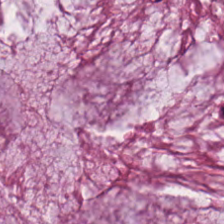Hematoxylin and eosin.
Impression — mucus.
